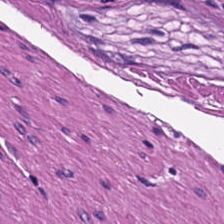H&E-stained tissue section. This field is smooth-muscle tissue.
